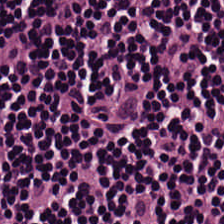Hematoxylin-and-eosin stained section. {"tissue_type": "lymphocyte aggregate"}
